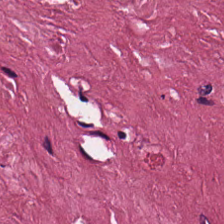Hematoxylin and eosin. The tissue here is cancer-associated stroma.
